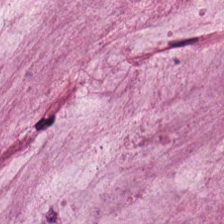H&E-stained tissue section — Showing extracellular mucin.
